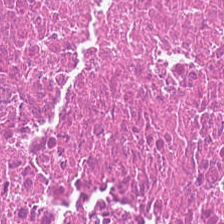Hematoxylin-and-eosin stained section — Q: What type of tissue is this?
A: This is debris.
